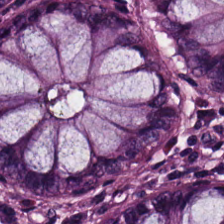H&E-stained tissue section. This patch shows benign colonic mucosa.
